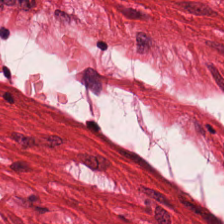Hematoxylin-and-eosin stained section. Finding → smooth muscle.
